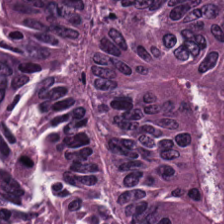H&E. 0.5 µm per pixel — Predominant tissue — colorectal adenocarcinoma.
